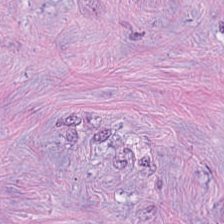Hematoxylin-and-eosin stained section. 224×224 pixel tile — Q: What tissue type is shown here?
A: The field shows tumor-associated stroma.
